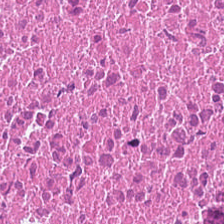H&E-stained tissue section; 224×224 pixel tile; FFPE — This field is necrotic debris.
